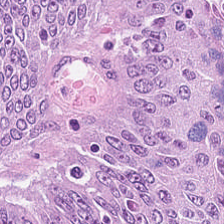Whole-slide-image patch; hematoxylin-and-eosin stained section.
Predominantly tumor epithelium.
